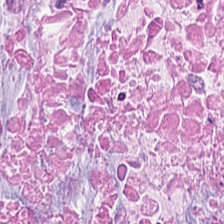Formalin-fixed paraffin-embedded section. H&E stain — Q: What is the predominant tissue type?
A: This is cellular debris.
